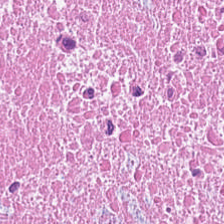Stain: hematoxylin-and-eosin stained section.
Resolution: 0.5 µm per pixel.
Predominant tissue: debris.
